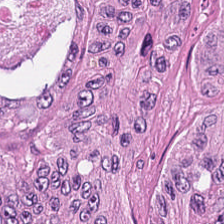H&E; brightfield microscopy. This field is colorectal adenocarcinoma epithelium.
